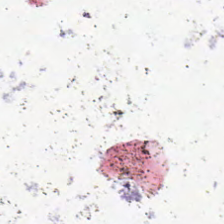Stain: H&E stain.
Preparation: FFPE tissue section.
Resolution: 0.5 µm/px.
Content: background.
